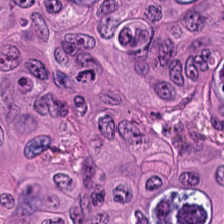Showing adenocarcinoma.
